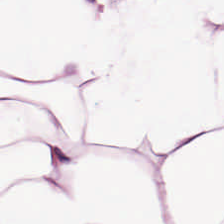Hematoxylin-and-eosin stained section. Q: What is shown in this field?
A: The field shows adipose.
